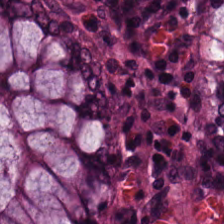Hematoxylin and eosin.
The tissue here is benign colonic mucosa.
